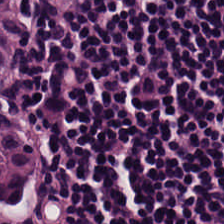Brightfield. 20× equivalent magnification. Hematoxylin and eosin — This patch shows lymphocyte aggregate.
